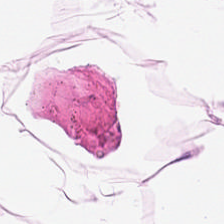Hematoxylin-and-eosin stained section. Showing fat tissue.
